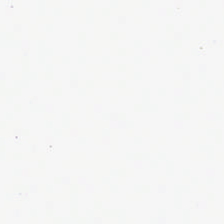20× equivalent magnification; hematoxylin-and-eosin stained section; whole-slide-image patch.
No tissue present; background only.
